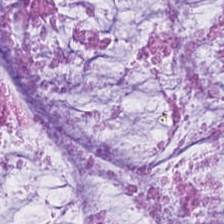Finding — mucus.
